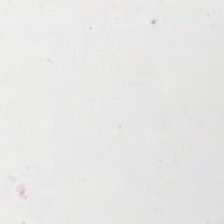Hematoxylin and eosin — Background — no tissue in this field.
